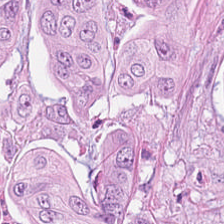Hematoxylin-and-eosin stained section. 0.5 µm per pixel — Finding — adenocarcinoma.
